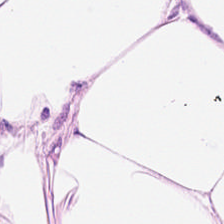Predominantly fat tissue.
